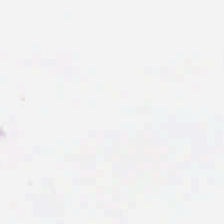H&E stain.
This patch shows empty background.
